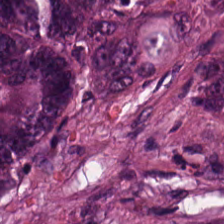H&E.
This field is colorectal adenocarcinoma.
